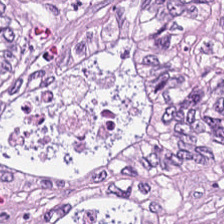Hematoxylin-and-eosin stained section.
Q: What type of tissue is this?
A: Malignant epithelium.
